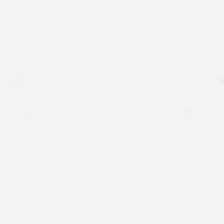Stain: hematoxylin and eosin.
Content: background (no tissue).
